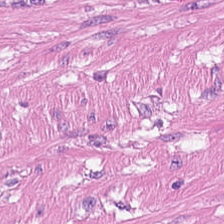Formalin-fixed paraffin-embedded section · 0.5 microns per pixel · hematoxylin-and-eosin stained section.
Predominant tissue — smooth muscle.
